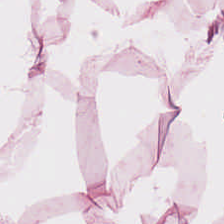The tissue is adipocytes.
